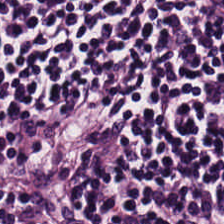Finding → lymphocytic infiltrate.
